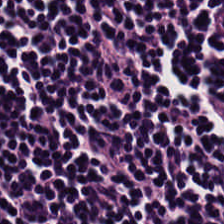H&E. 224×224 px patch. This patch shows lymphoid infiltrate.
